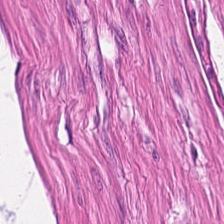Stain: hematoxylin-and-eosin stained section.
Tissue class: muscularis.
